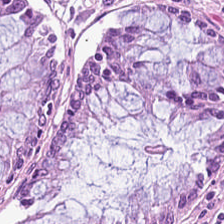Whole-slide-image patch; H&E.
The predominant tissue is normal colonic mucosa.
